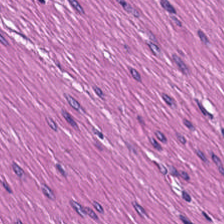Stain: H&E stain.
Preparation: FFPE.
Tissue class: smooth muscle.
